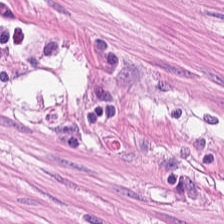Hematoxylin and eosin — The predominant tissue is smooth-muscle tissue.
